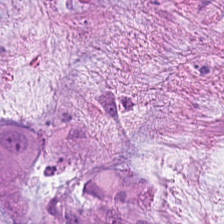Q: Classify this patch.
A: This is mucin.
